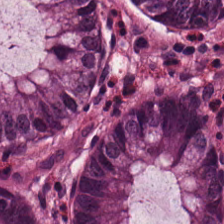224×224 px tile; hematoxylin-and-eosin stained section. Tissue class: non-neoplastic colon mucosa.
